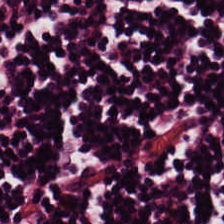H&E-stained tissue section.
Tissue = lymphocytes.
